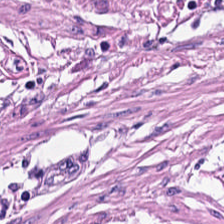0.5 µm per pixel; hematoxylin and eosin; 224×224 px tile — Predominantly smooth muscle.
